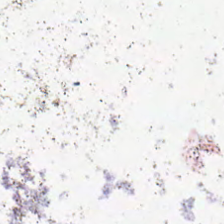H&E.
Q: What does this patch show?
A: The field shows no tissue.
